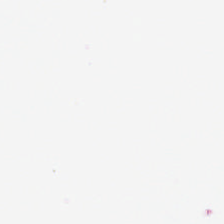H&E-stained tissue section.
Classification: background (no tissue).
